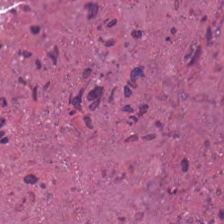H&E-stained tissue section. 224×224 pixel tile — This patch shows necrotic debris.
